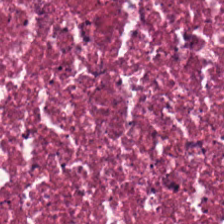H&E stain. Necrotic debris.
